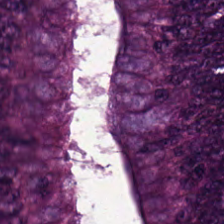Brightfield. Hematoxylin-and-eosin stained section — Q: What is shown here?
A: Tumor epithelium.
